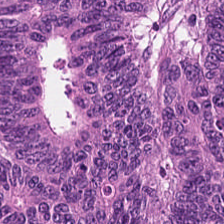Q: What does this patch show?
A: This is malignant epithelium.
